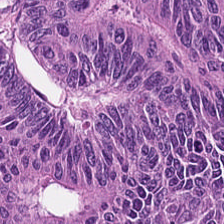The tissue here is malignant epithelium.
